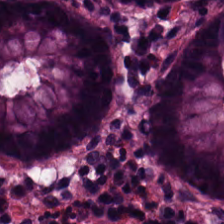The predominant tissue is normal colon mucosa.
